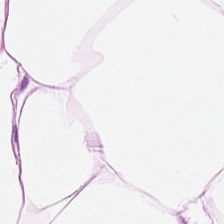Impression — adipose tissue.
